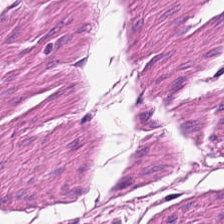H&E · brightfield microscopy · formalin-fixed paraffin-embedded section.
Q: What does this patch show?
A: Smooth-muscle tissue.
